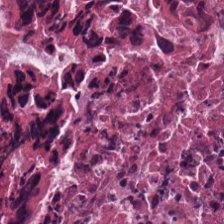Hematoxylin and eosin. Classification: debris.
